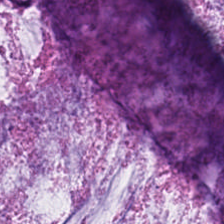H&E. Q: What tissue is shown?
A: The field shows mucin.
